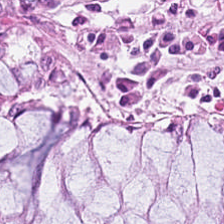Stain: H&E.
Tissue type: non-neoplastic colon mucosa.
